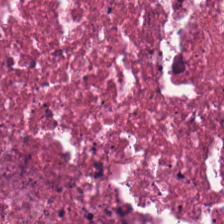Brightfield microscopy. H&E — Q: What is shown in this field?
A: This is debris.
